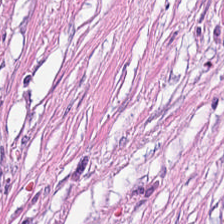H&E.
Tissue = tumor-associated stroma.
